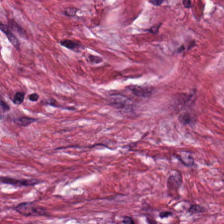Brightfield microscopy; FFPE; H&E-stained tissue section — Q: What type of tissue is this?
A: It is tumor-associated stroma.
